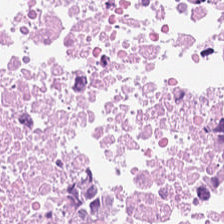The tissue is necrotic debris.
